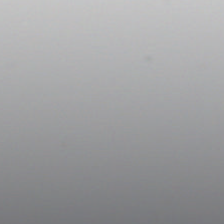20× equivalent magnification; H&E-stained tissue section — Background.
